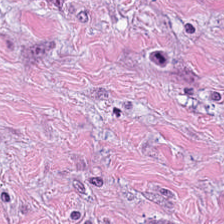H&E-stained tissue section.
Showing tumor stroma.
